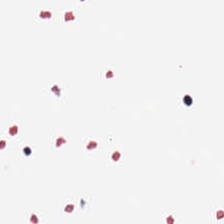Histology → background.
